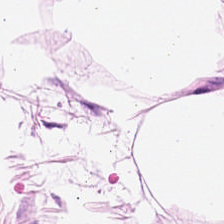Tissue class — adipose tissue.
